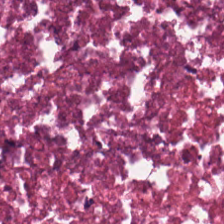Formalin-fixed paraffin-embedded section · hematoxylin and eosin. Q: What does this patch show?
A: It is necrotic debris.
